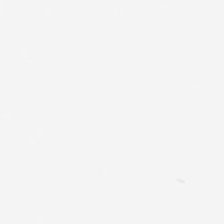Q: What does this patch show?
A: Background (no tissue).
